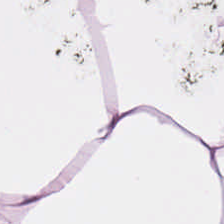H&E. This field is fat tissue.
